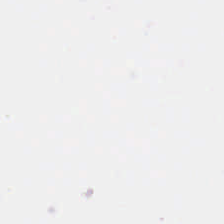Hematoxylin-and-eosin stained section · 224×224 pixel tile.
Q: What does this patch show?
A: It is background.
